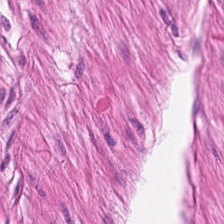Classification = muscularis.
